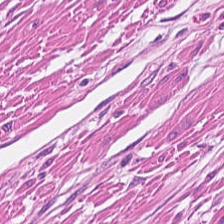FFPE. Hematoxylin-and-eosin stained section.
Impression → smooth-muscle tissue.
